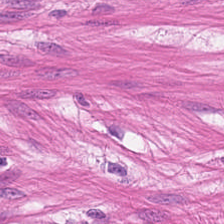Formalin-fixed paraffin-embedded section · 224×224 pixel tile · H&E stain.
Classification — smooth muscle.
